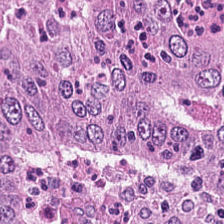Hematoxylin and eosin · 0.5 µm per pixel.
This field is adenocarcinoma.
